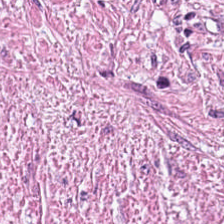Stain: hematoxylin-and-eosin stained section.
Tissue: tumor stroma.
